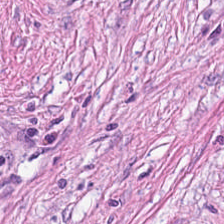20× equivalent magnification; hematoxylin-and-eosin stained section. This patch shows desmoplastic stroma.
